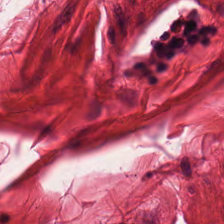Hematoxylin-and-eosin stained section.
Smooth muscle.
